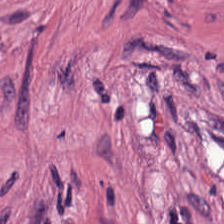Hematoxylin-and-eosin section: tumor-associated stroma.
